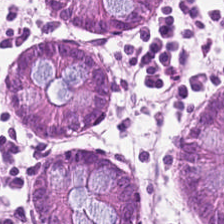Impression → normal colonic mucosa.
